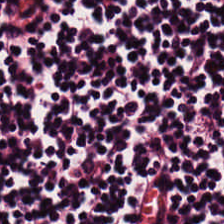Showing lymphocyte aggregate.
